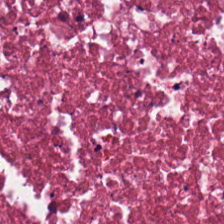Q: What is shown in this field?
A: Necrotic debris.
